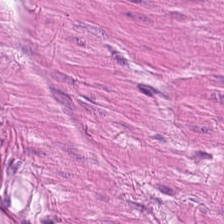Tissue type — smooth muscle.
